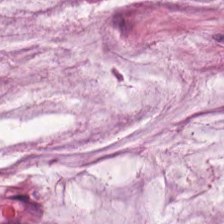The tissue class is mucus.
